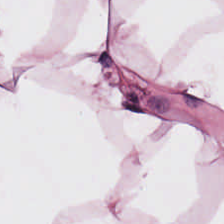WSI patch; H&E stain — This field is adipose.
